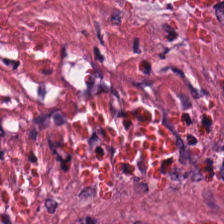H&E — Impression → desmoplastic stroma.
